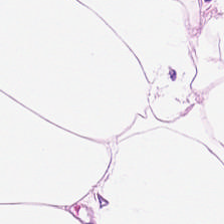Q: What is shown in this field?
A: The field shows adipocytes.
